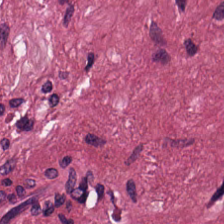Hematoxylin-and-eosin stained section · brightfield · 20× equivalent magnification.
Tissue class = tumor-associated stroma.
